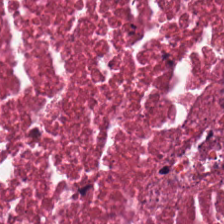FFPE. H&E-stained tissue section. 224×224 pixel tile. The predominant tissue is debris.
